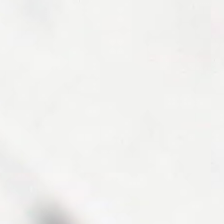Hematoxylin and eosin.
Background — no tissue in this field.
